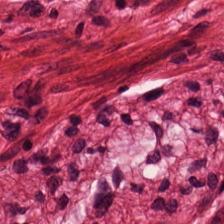H&E-stained tissue section · formalin-fixed paraffin-embedded section · 224×224 pixel tile. Finding → smooth muscle.
